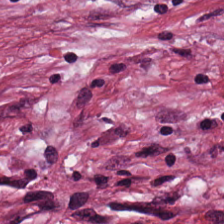Q: What is the predominant tissue type?
A: It is desmoplastic stroma.
